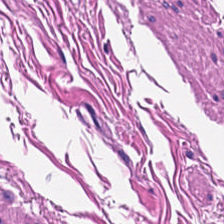Q: What is shown in this field?
A: The field shows smooth muscle.
